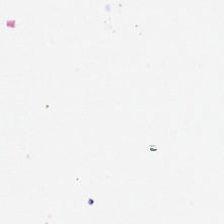H&E-stained tissue section; 20× equivalent magnification. {"content": "background (no tissue)"}
